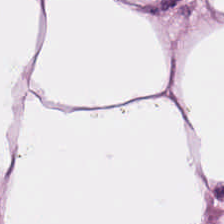Predominantly adipose.
